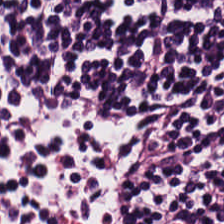Stain: H&E stain.
Tissue: lymphocytic infiltrate.
